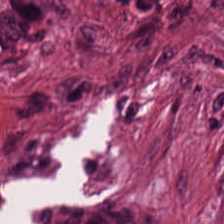Hematoxylin and eosin — Finding — desmoplastic stroma.
